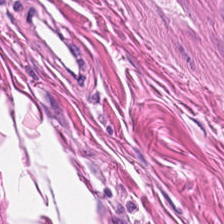This patch shows smooth-muscle tissue.
